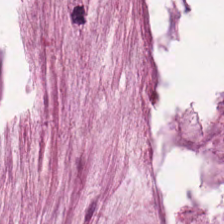H&E.
The tissue here is mucin.
